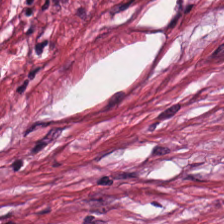H&E — This field is cancer-associated stroma.
